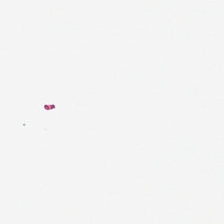Hematoxylin-and-eosin stained section; formalin-fixed paraffin-embedded section; brightfield. The field content is background (no tissue).
